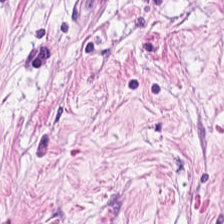H&E. 0.5 µm per pixel. The tissue class is cancer-associated stroma.
